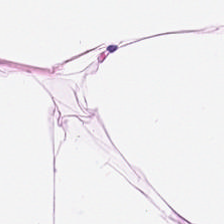Q: Identify the tissue.
A: This is adipose.
